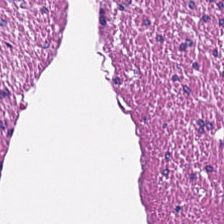Hematoxylin and eosin. This patch shows smooth muscle.
